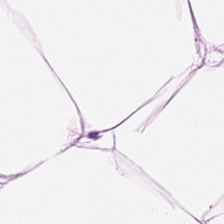H&E-stained tissue section. Q: What does this patch show?
A: This is adipose tissue.
